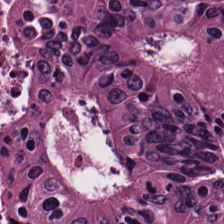FFPE tissue section; H&E stain. Q: Identify the tissue.
A: It is malignant epithelium.
